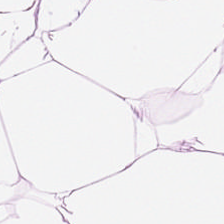H&E-stained tissue section; brightfield microscopy; 224×224 px tile. This field is fat tissue.
